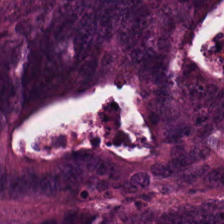Tissue — adenocarcinoma.
